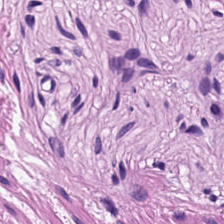H&E stain; WSI patch; 0.5 µm per pixel. This patch shows smooth muscle.
